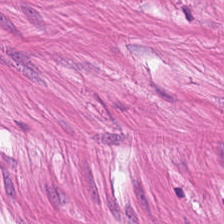Tissue class = smooth muscle.
